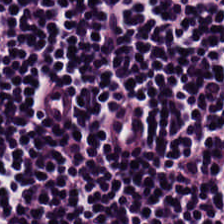H&E — lymphocytes.
